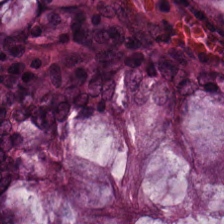Hematoxylin-and-eosin stained section. 224×224 px tile — Tissue class = benign colonic mucosa.
